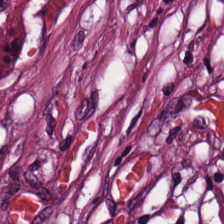Stain: hematoxylin and eosin.
Tile size: 224×224 pixel tile.
Classification: desmoplastic stroma.
